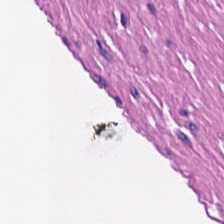H&E stain — Q: What is the predominant tissue type?
A: This is smooth-muscle tissue.
